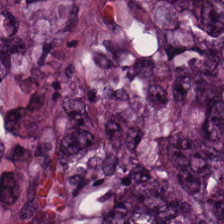Whole-slide-image patch; 0.5 µm/px; hematoxylin-and-eosin stained section. Q: What is shown here?
A: This is colorectal adenocarcinoma epithelium.
